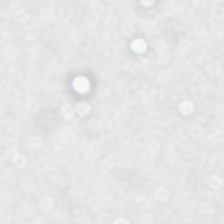Impression — empty background.
